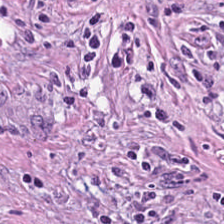Hematoxylin and eosin · brightfield. The tissue here is cancer-associated stroma.
